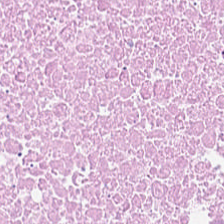H&E stain. Whole-slide-image patch — This patch shows cellular debris.
